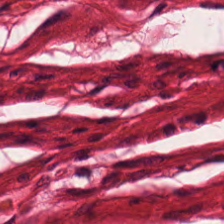H&E; 0.5 µm per pixel; 224×224 px tile — This field is smooth-muscle tissue.
